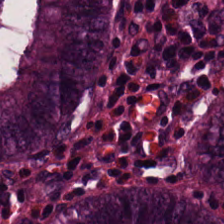H&E-stained tissue section showing benign colonic mucosa.
